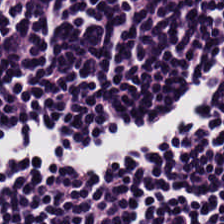Hematoxylin-and-eosin stained section. Showing lymphoid infiltrate.
